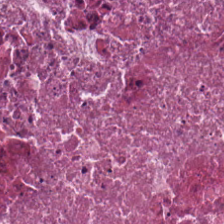Tissue class: debris.
